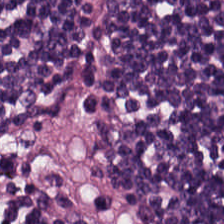H&E — lymphocytic infiltrate.
